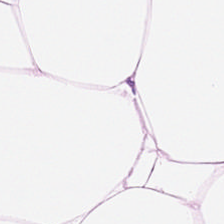Hematoxylin-and-eosin stained section · 224×224 pixel tile · brightfield — Showing adipose.
